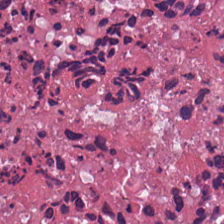The tissue type is cellular debris.
